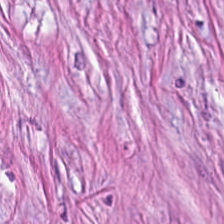Hematoxylin and eosin. Brightfield. FFPE tissue section. Histology — tumor-associated stroma.
